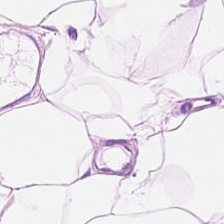224×224 pixel tile. H&E-stained tissue section. FFPE. Tissue class — adipose tissue.
